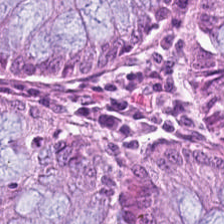H&E-stained tissue section. Tissue: normal colon mucosa.
